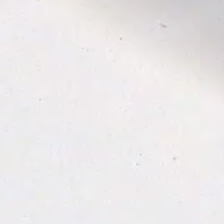Stain: H&E-stained tissue section.
Classification: no tissue.
